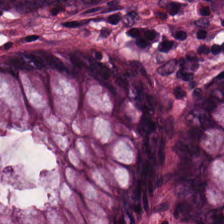Hematoxylin-and-eosin stained section.
Finding — non-neoplastic colon mucosa.
